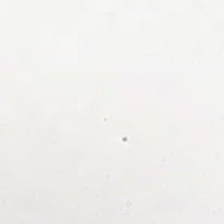Brightfield; hematoxylin and eosin.
This field is background (no tissue).
